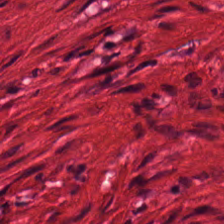H&E. FFPE tissue section. Q: What type of tissue is this?
A: Smooth muscle.
